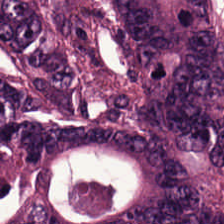Hematoxylin and eosin.
The tissue here is colorectal adenocarcinoma epithelium.
